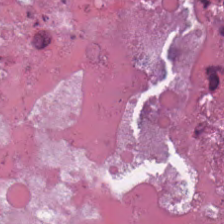Formalin-fixed paraffin-embedded section. Hematoxylin and eosin. WSI patch. Predominant tissue: necrotic debris.
